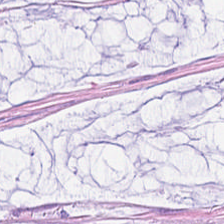Hematoxylin-and-eosin stained section. Brightfield microscopy.
Q: What does this patch show?
A: The field shows mucus.
